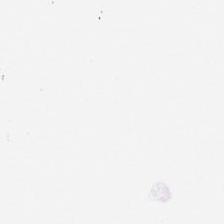H&E; 0.5 microns per pixel.
Background.
